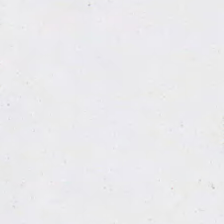H&E-stained tissue section · 224×224 px tile · brightfield. Background — no tissue in this field.
